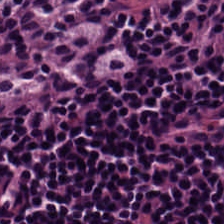The tissue here is lymphocytic infiltrate.
